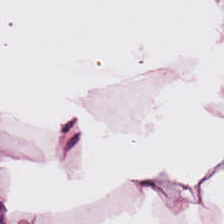H&E-stained tissue section. 224×224 px tile. This patch shows adipocytes.
